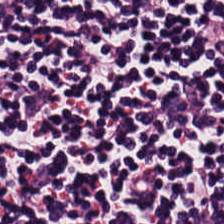H&E-stained tissue section — This field is lymphocytic infiltrate.
